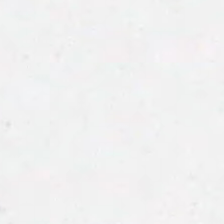H&E-stained tissue section; whole-slide-image patch — Classification — no tissue.
